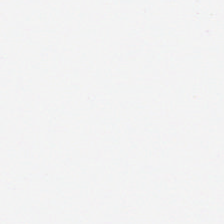Stain: H&E.
Field content: background (no tissue).
